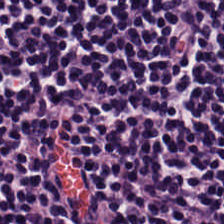H&E-stained tissue section. 0.5 µm per pixel. Finding — lymphoid infiltrate.
